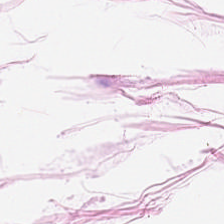Stain: H&E stain.
Tissue: fat tissue.
